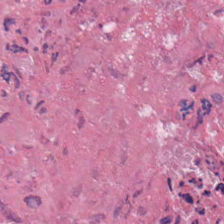Stain: hematoxylin-and-eosin stained section.
Classification: debris.
